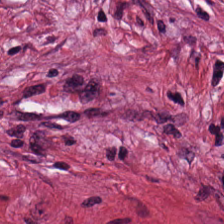H&E-stained tissue section. Q: What is shown in this field?
A: Tumor-associated stroma.
